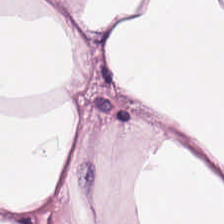Whole-slide-image patch · hematoxylin-and-eosin stained section · 224×224 px tile.
The classification is fat tissue.
